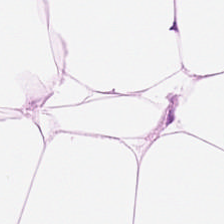Whole-slide-image patch. Hematoxylin-and-eosin stained section. FFPE tissue section — Tissue type: adipose tissue.
